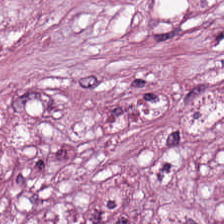H&E-stained tissue section. Classification — desmoplastic stroma.
